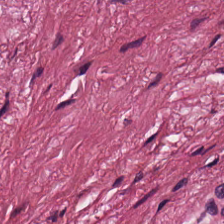Hematoxylin and eosin.
Q: What is the predominant tissue type?
A: Desmoplastic stroma.
